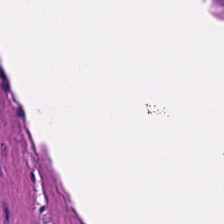H&E-stained tissue section. Showing smooth-muscle tissue.
